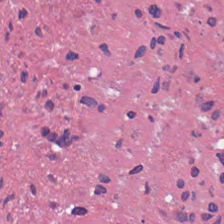Hematoxylin-and-eosin stained section — This patch shows cellular debris.
